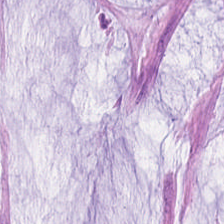Stain: hematoxylin-and-eosin stained section.
Tissue class: mucus.
